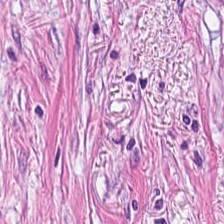The tissue here is tumor-associated stroma.
